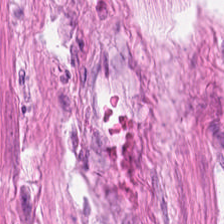Stain: H&E stain.
Tissue: smooth muscle.
